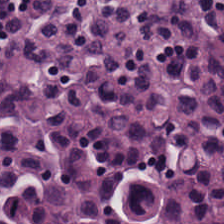H&E patch showing lymphocyte aggregate.
